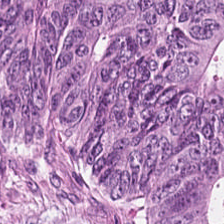Tissue class = malignant epithelium.
